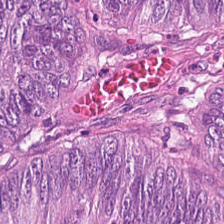Predominantly tumor epithelium.
